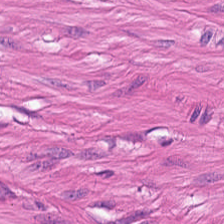0.5 microns per pixel; hematoxylin-and-eosin stained section — This patch shows muscularis.
